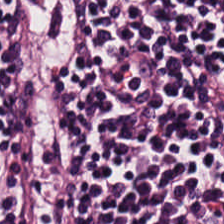H&E stain — Lymphoid infiltrate.
